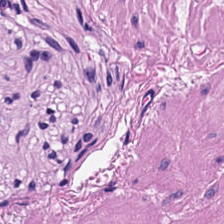H&E-stained tissue section; 224×224 pixel tile — This patch shows smooth muscle.
